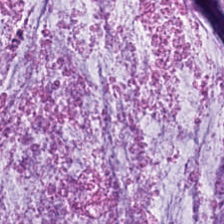H&E. 224×224 pixel tile.
This field is extracellular mucin.
